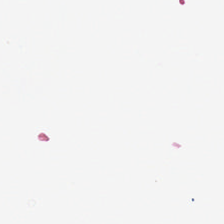WSI patch. H&E-stained tissue section.
Background.
